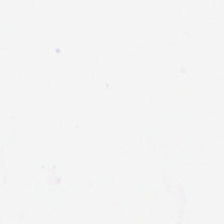H&E stain — Histology → background (no tissue).
